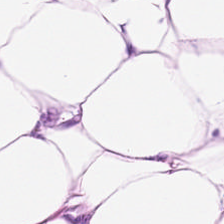Hematoxylin-and-eosin stained section.
Showing fat tissue.
